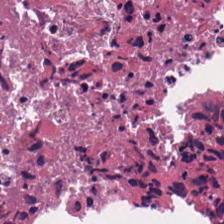Brightfield. Hematoxylin and eosin. The tissue here is necrotic debris.
